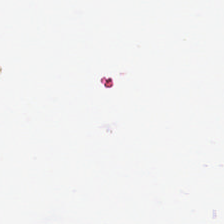H&E; 224×224 pixel tile — Q: What is shown in this field?
A: Empty background.
